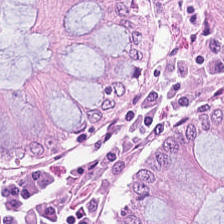H&E-stained section; the field shows benign colonic mucosa.
